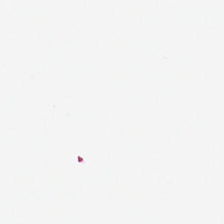Hematoxylin and eosin.
This field is background (no tissue).
